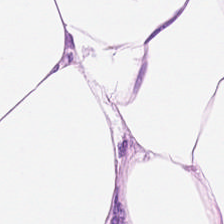0.5 µm/px; H&E-stained tissue section.
Predominantly adipose.
